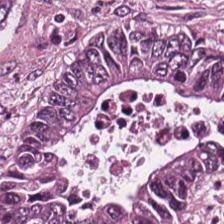0.5 microns per pixel; hematoxylin-and-eosin stained section.
The tissue type is tumor epithelium.
